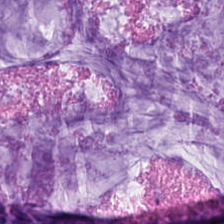H&E. 0.5 microns per pixel. Showing extracellular mucin.
